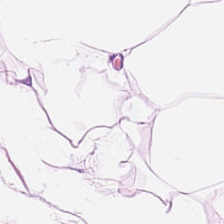Whole-slide-image patch. Hematoxylin and eosin. Showing fat tissue.
